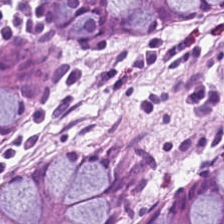Stain: H&E.
Predominant tissue: normal colonic mucosa.
